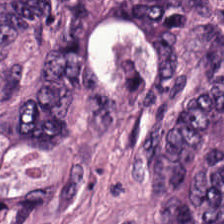H&E.
Adenocarcinoma.
